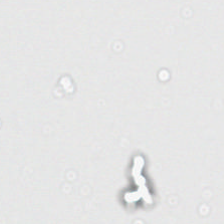Hematoxylin-and-eosin stained section · 224×224 pixel tile — This patch shows no tissue.
